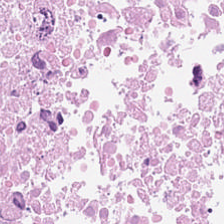0.5 µm/px; H&E stain; 224×224 px patch — Tissue class: debris.
